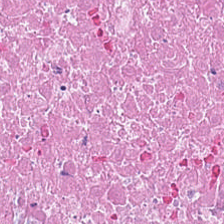Hematoxylin-and-eosin stained section — Q: What is the predominant tissue type?
A: This is debris.
